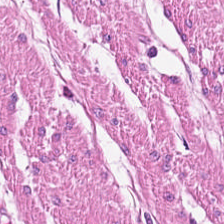H&E-stained tissue section — Impression → smooth-muscle tissue.
